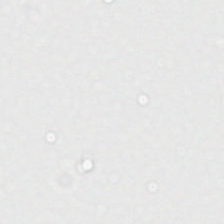H&E-stained tissue section.
Content — background (no tissue).
